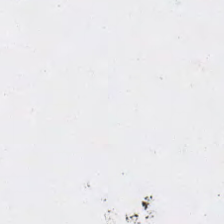H&E-stained tissue section. Impression → background (no tissue).
